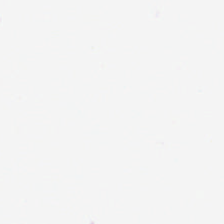H&E stain. FFPE.
No tissue present; background only.
